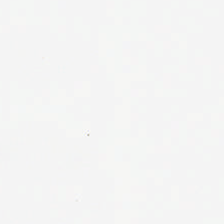H&E stain.
Background — no tissue in this field.
